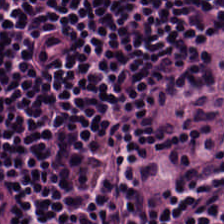Formalin-fixed paraffin-embedded section. H&E stain. 20× equivalent magnification. Q: What tissue is shown?
A: The field shows lymphocytic infiltrate.
